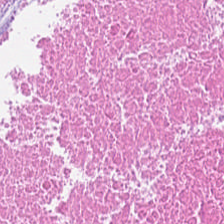0.5 µm/px. H&E-stained tissue section. {"tissue_type": "cellular debris"}
